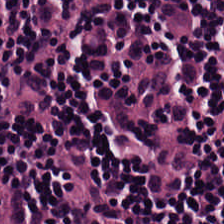FFPE tissue section; hematoxylin and eosin; whole-slide-image patch. Predominantly lymphocyte aggregate.
